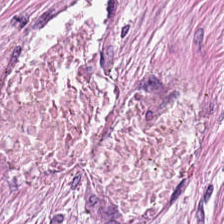Hematoxylin-and-eosin stained section. Predominant tissue = tumor stroma.
